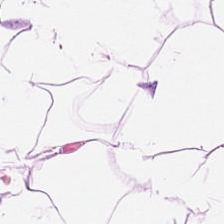Hematoxylin-and-eosin stained section. FFPE tissue section. Showing fat tissue.
